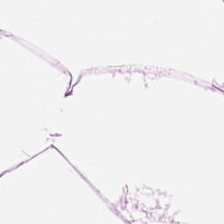WSI patch; H&E stain — The predominant tissue is adipocytes.
